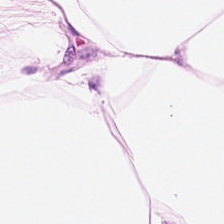224×224 pixel tile · WSI patch · H&E-stained tissue section. The tissue is adipose tissue.
